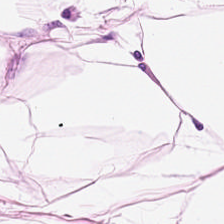H&E.
Histology → adipocytes.
